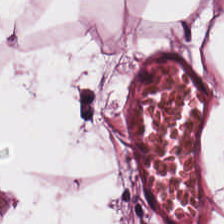H&E — Q: What does this patch show?
A: It is adipose.
